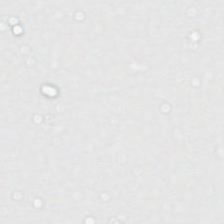H&E-stained tissue section. The field content is no tissue.
